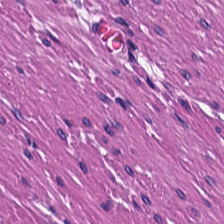Stain: hematoxylin and eosin.
Tissue class: smooth muscle.
